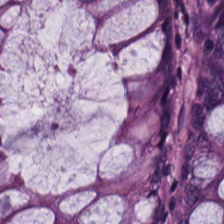H&E-stained section; the field shows benign colonic mucosa.
